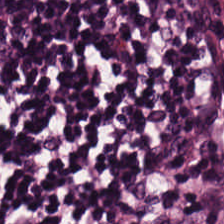{"tissue_type": "lymphoid infiltrate"}
